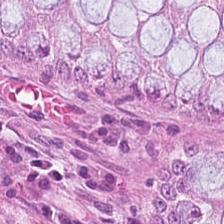The tissue here is non-neoplastic colon mucosa.
